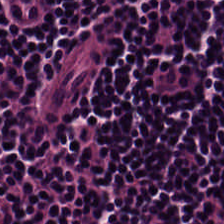This patch shows lymphocytic infiltrate.
